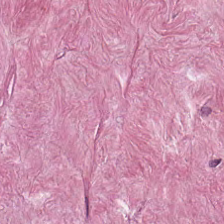Stain: H&E stain.
Predominant tissue: tumor-associated stroma.
